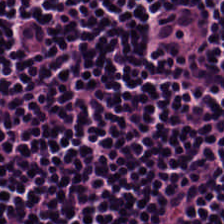H&E-stained tissue section. Showing lymphocytes.
